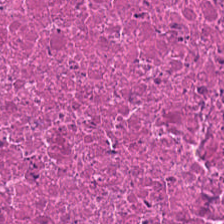H&E stain.
The predominant tissue is necrotic debris.
